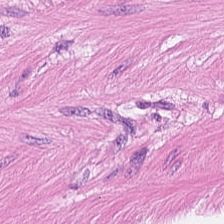Hematoxylin and eosin. Q: Classify this patch.
A: It is smooth-muscle tissue.
